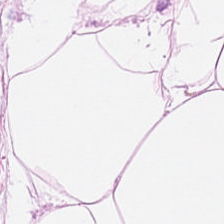Stain: H&E stain.
Classification: adipocytes.
